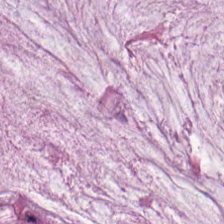Hematoxylin-and-eosin stained section · brightfield · 20× equivalent magnification.
Finding — extracellular mucin.
